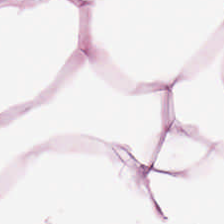H&E-stained tissue section — Showing fat tissue.
